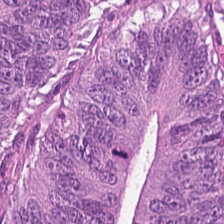Hematoxylin and eosin. The tissue here is malignant epithelium.
